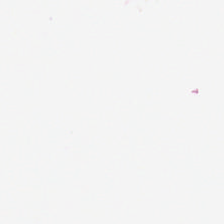Hematoxylin-and-eosin stained section. Whole-slide-image patch.
Classification = background (no tissue).
